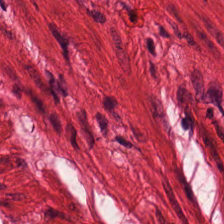Classification — smooth-muscle tissue.
